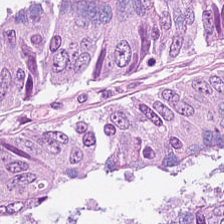H&E stain. The tissue type is colorectal adenocarcinoma.
